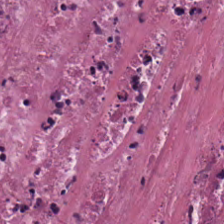H&E stain — Tissue class = cellular debris.
